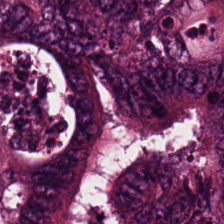This patch shows colorectal adenocarcinoma epithelium.
